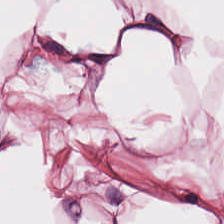0.5 µm per pixel. H&E. Whole-slide-image patch.
{"tissue_type": "adipocytes"}
